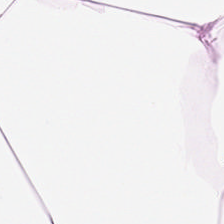20× equivalent magnification · hematoxylin-and-eosin stained section · brightfield. This field is adipocytes.
